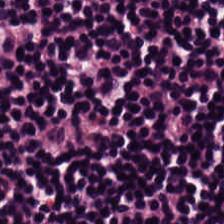Stain: hematoxylin-and-eosin stained section.
Tissue: lymphocytic infiltrate.
